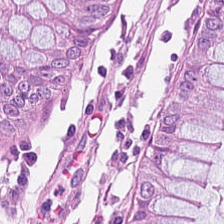Classification — normal colon mucosa.
